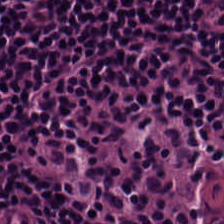Hematoxylin and eosin. Lymphocytes.
